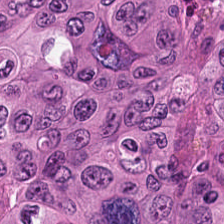Tissue: colorectal adenocarcinoma.
